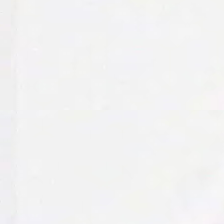H&E.
Empty field — no tissue.
